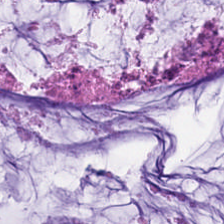H&E-stained tissue section. Q: What does this patch show?
A: It is extracellular mucin.
